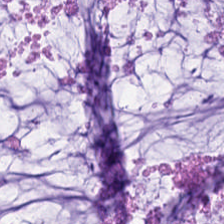H&E stain — The tissue here is mucus.
